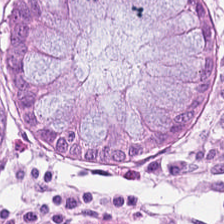Stain: hematoxylin-and-eosin stained section.
Tissue type: benign colonic mucosa.
